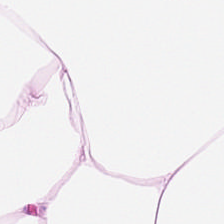This patch shows adipocytes.
